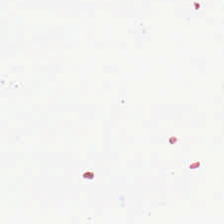Q: What does this patch show?
A: Background (no tissue).
